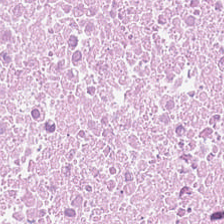Stain: hematoxylin-and-eosin stained section.
Preparation: FFPE tissue section.
Acquisition: whole-slide-image patch.
Tissue type: necrotic debris.
